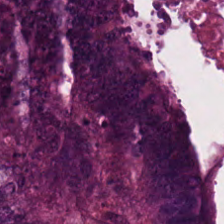Hematoxylin-and-eosin stained section; formalin-fixed paraffin-embedded section. Tissue: colorectal adenocarcinoma.
